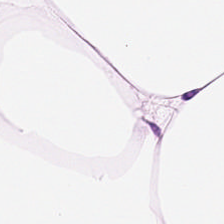Stain: hematoxylin-and-eosin stained section.
Tissue class: adipocytes.
